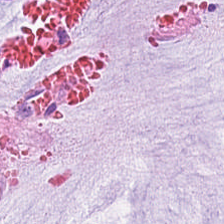H&E stain; FFPE tissue section. Tissue: extracellular mucin.
